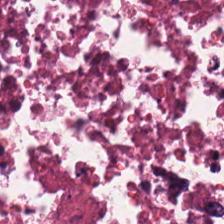224×224 pixel tile. H&E-stained tissue section — This field is debris.
